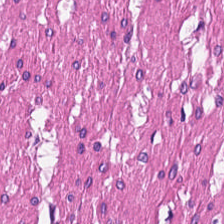Hematoxylin-and-eosin stained section. WSI patch.
Muscularis.
